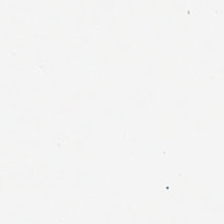No tissue present; background only.
